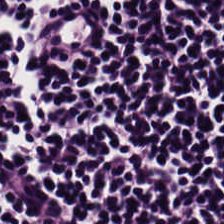H&E.
Predominantly lymphocytic infiltrate.
